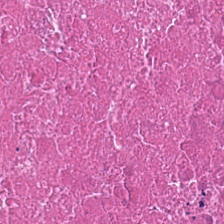Hematoxylin and eosin.
Histology — cellular debris.
